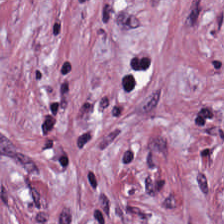Predominantly tumor-associated stroma.
